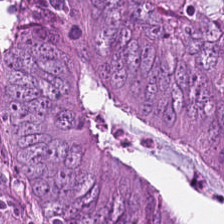Tissue class: tumor epithelium.
